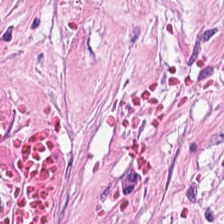H&E stain. Q: What is shown here?
A: This is desmoplastic stroma.
